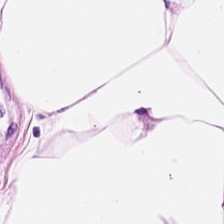Hematoxylin and eosin; formalin-fixed paraffin-embedded section — Q: What is the predominant tissue type?
A: It is adipose.
